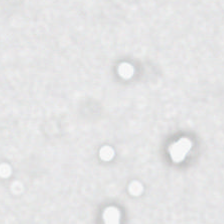Hematoxylin and eosin; 0.5 µm/px — Q: Classify this patch.
A: The field shows background.
